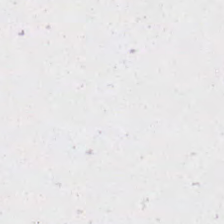Classification — no tissue.
